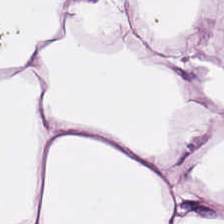Hematoxylin-and-eosin stained section. Formalin-fixed paraffin-embedded section. 224×224 px tile. Showing adipose tissue.
